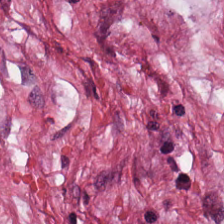Stain: hematoxylin and eosin.
Predominant tissue: tumor-associated stroma.
